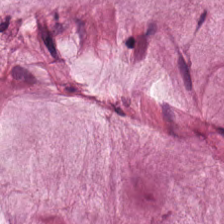WSI patch · hematoxylin and eosin · FFPE tissue section. Impression — mucus.
